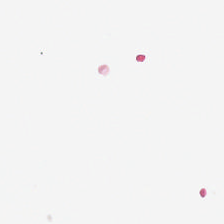H&E. {"content": "empty background"}
